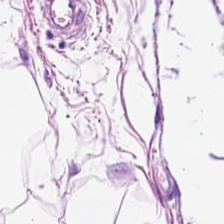FFPE · hematoxylin-and-eosin stained section. This patch shows fat tissue.
